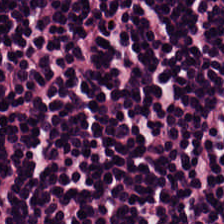FFPE tissue section; hematoxylin and eosin.
The tissue type is lymphocytic infiltrate.
